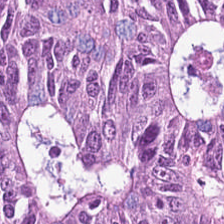Histology — malignant epithelium.
